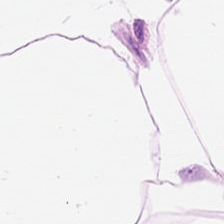Hematoxylin and eosin.
Adipose tissue.
